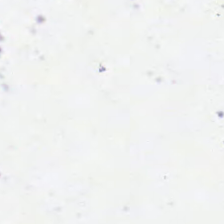Stain: hematoxylin and eosin.
Content: empty background.
